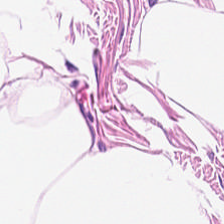H&E · 0.5 microns per pixel. The predominant tissue is adipose.
